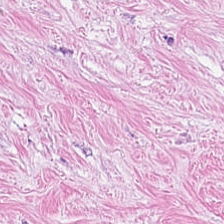0.5 µm/px · hematoxylin and eosin.
Predominantly cancer-associated stroma.
